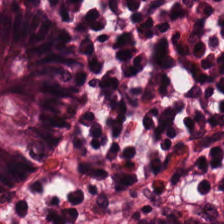Hematoxylin-and-eosin stained section.
Tissue: normal colonic mucosa.
